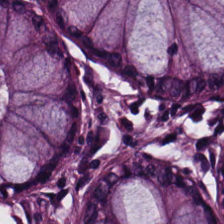0.5 µm per pixel · hematoxylin and eosin · WSI patch — Q: What is the predominant tissue type?
A: Benign colonic mucosa.
